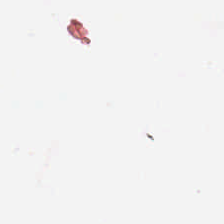Stain: hematoxylin-and-eosin stained section.
Tile size: 224×224 pixel tile.
Classification: empty background.
